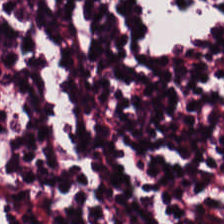Stain: H&E stain.
Classification: lymphocytic infiltrate.
